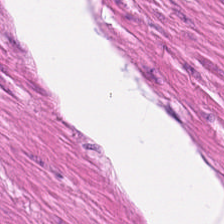Q: What is shown here?
A: Muscularis.
